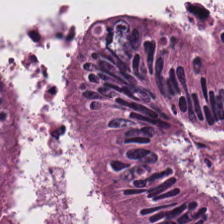H&E stain — Tissue class — colorectal adenocarcinoma epithelium.
